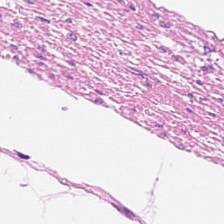224×224 px tile. H&E. The tissue class is smooth muscle.
